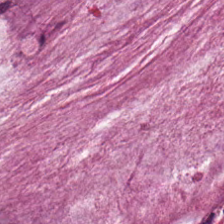H&E stain.
Predominant tissue: extracellular mucin.
